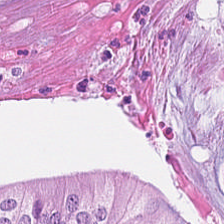Stain: hematoxylin and eosin.
Classification: colorectal adenocarcinoma epithelium.
